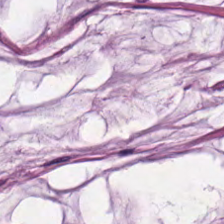Hematoxylin-and-eosin stained section. Formalin-fixed paraffin-embedded section. 0.5 microns per pixel — Predominant tissue = mucin.
